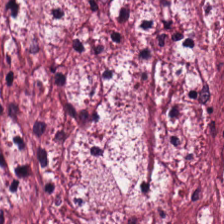H&E-stained tissue section — The predominant tissue is tumor stroma.
